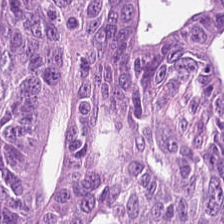H&E.
Finding → tumor epithelium.
